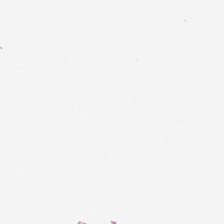Impression → background.
